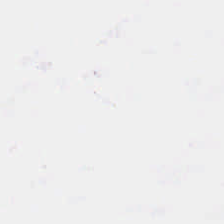Hematoxylin and eosin; brightfield microscopy; 224×224 pixel tile. Content — no tissue.
